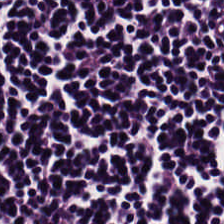Brightfield · hematoxylin and eosin.
Finding — lymphocytes.
